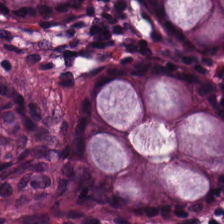H&E stain. Q: What type of tissue is this?
A: This is non-neoplastic colon mucosa.
